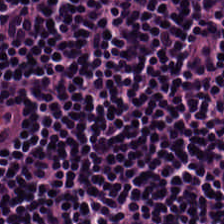Tissue — lymphocytic infiltrate.
